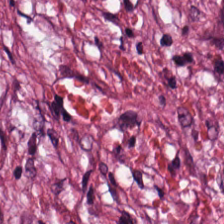Hematoxylin-and-eosin stained section — Q: Identify the tissue.
A: The field shows cancer-associated stroma.
